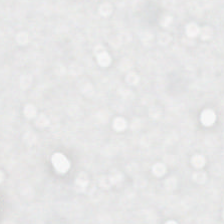WSI patch · H&E-stained tissue section — Empty field — background.
